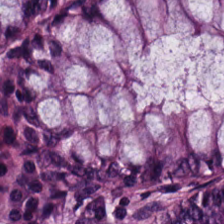H&E stain — The tissue type is benign colonic mucosa.
